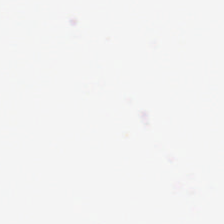224×224 px patch; H&E.
Content = empty background.
